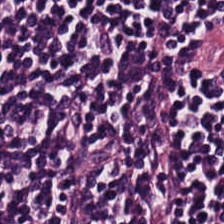H&E-stained tissue section.
The predominant tissue is lymphocytic infiltrate.
